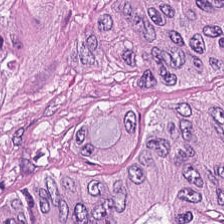FFPE. H&E stain — Finding → colorectal adenocarcinoma epithelium.
